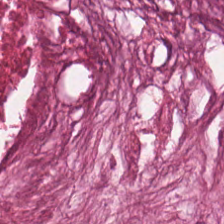Hematoxylin and eosin. The predominant tissue is debris.
